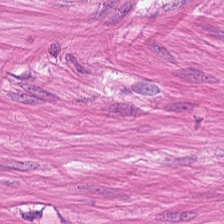H&E stain. Impression — smooth muscle.
